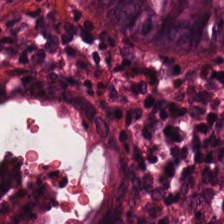Hematoxylin and eosin.
The predominant tissue is non-neoplastic colon mucosa.
